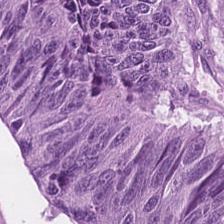Formalin-fixed paraffin-embedded section; hematoxylin and eosin.
Colorectal adenocarcinoma epithelium.
